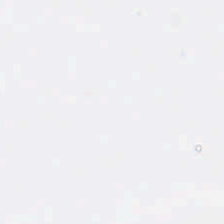Q: What is shown in this field?
A: This is background.
